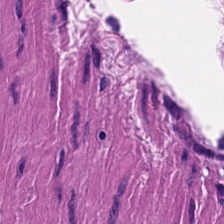Classification: smooth muscle.
